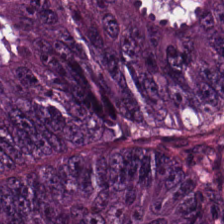Hematoxylin-and-eosin stained section — Predominantly colorectal adenocarcinoma.
